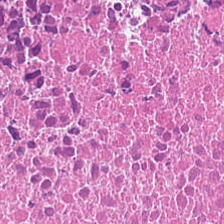Tissue type = cellular debris.
